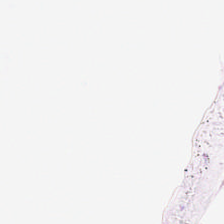224×224 pixel tile; hematoxylin and eosin. Field content = background (no tissue).
